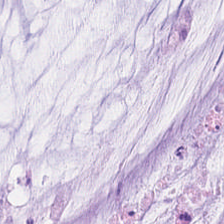FFPE tissue section; hematoxylin-and-eosin stained section.
Q: What is the predominant tissue type?
A: It is extracellular mucin.
